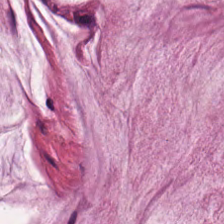The predominant tissue is extracellular mucin.
